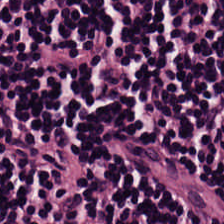H&E patch showing lymphoid infiltrate.
